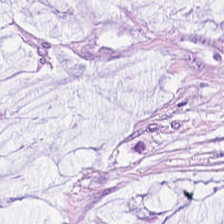20× equivalent magnification. 224×224 pixel tile. H&E stain — Tissue — extracellular mucin.
